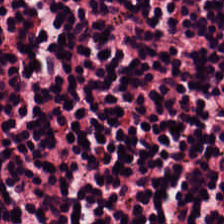Q: Identify the tissue.
A: The field shows lymphocytic infiltrate.
